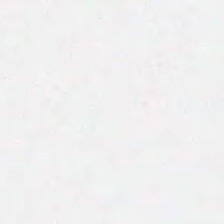0.5 microns per pixel; FFPE; hematoxylin and eosin.
This patch shows no tissue.
